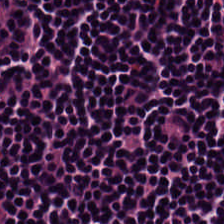Stain: H&E-stained tissue section.
Classification: lymphocytic infiltrate.
